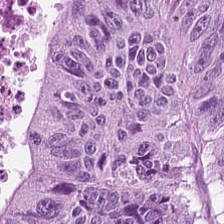Hematoxylin and eosin; 0.5 µm per pixel. This patch shows adenocarcinoma.
